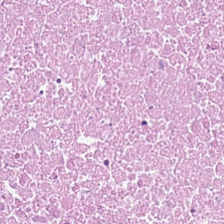Showing necrotic debris.
